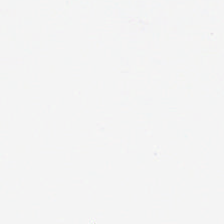Hematoxylin and eosin.
Classification — no tissue.
